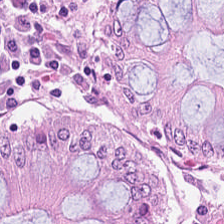H&E-stained tissue section. 224×224 pixel tile.
Tissue: normal colon mucosa.
